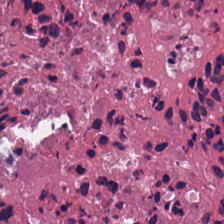H&E stain. Predominant tissue: cellular debris.
